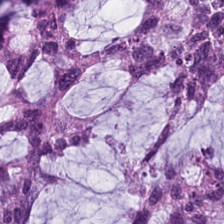H&E-stained tissue section. FFPE. 224×224 px patch.
Tissue — mucus.
